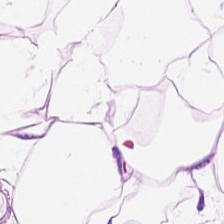H&E-stained tissue section. Q: What tissue type is shown here?
A: This is adipose.
